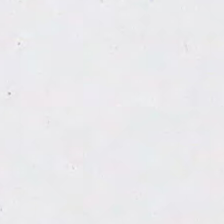224×224 px patch; hematoxylin and eosin; FFPE tissue section — Finding — background (no tissue).
